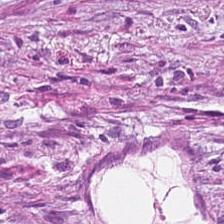H&E stain.
Q: Identify the tissue.
A: It is desmoplastic stroma.
